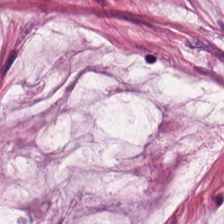Mucin.
